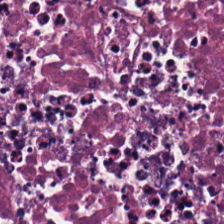H&E stain · 20× equivalent magnification — Tissue type: debris.
